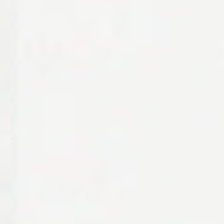Hematoxylin-and-eosin stained section. Background.
